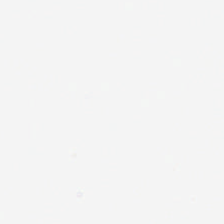H&E stain — Field content — empty background.
